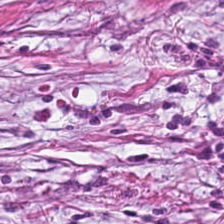H&E-stained tissue section; FFPE.
Q: What is shown in this field?
A: This is desmoplastic stroma.
